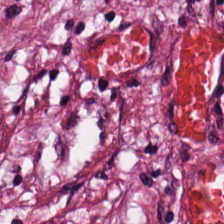H&E stain; 0.5 microns per pixel.
Q: Identify the tissue.
A: Cancer-associated stroma.
